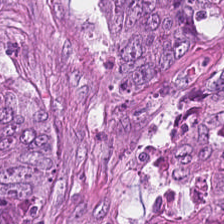Finding — adenocarcinoma.
